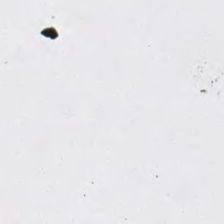Hematoxylin and eosin.
This patch shows background (no tissue).
